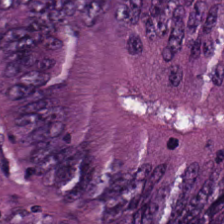Tissue = colorectal adenocarcinoma.
